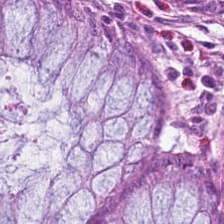Hematoxylin and eosin.
Tissue: non-neoplastic colon mucosa.
